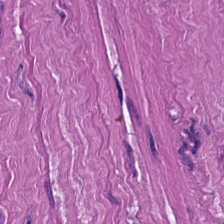H&E. This patch shows smooth muscle.
